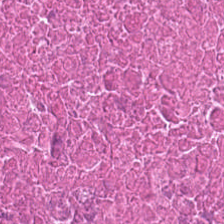Predominant tissue = cellular debris.
